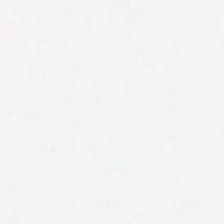Stain: hematoxylin-and-eosin stained section.
Classification: background.
